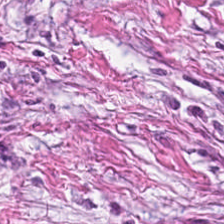Brightfield; H&E-stained tissue section.
This field is tumor-associated stroma.
